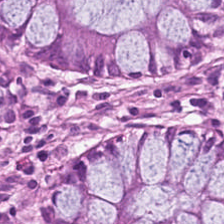Hematoxylin-and-eosin stained section. Finding → benign colonic mucosa.
